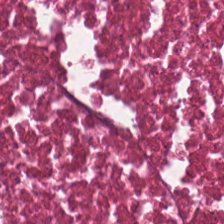Q: What type of tissue is this?
A: This is cellular debris.
